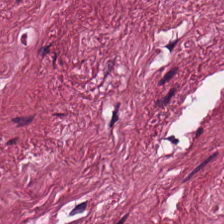H&E stain. Brightfield microscopy.
This patch shows tumor-associated stroma.
